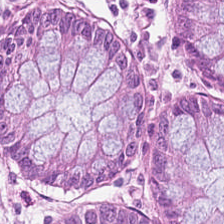Q: What tissue is shown?
A: Benign colonic mucosa.
